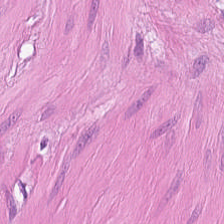H&E stain — Muscularis.
